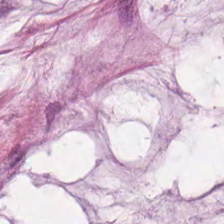Q: What is shown here?
A: The field shows mucin.
